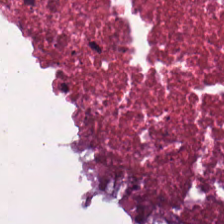Hematoxylin and eosin. 224×224 pixel tile.
This field is debris.
